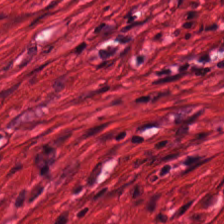0.5 microns per pixel · 224×224 pixel tile · H&E-stained tissue section.
Tissue type — smooth muscle.
